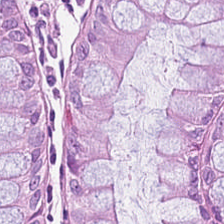Hematoxylin-and-eosin stained section · 224×224 px tile — This patch shows benign colonic mucosa.
